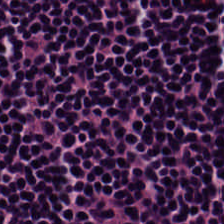Stain: H&E-stained tissue section.
Tissue type: lymphocyte aggregate.
